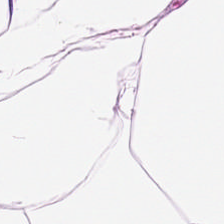H&E.
Finding — adipose tissue.
